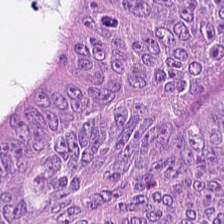224×224 px tile. Hematoxylin-and-eosin stained section. This field is adenocarcinoma.
